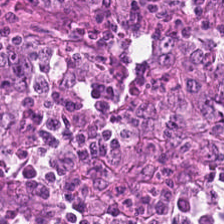Stain: H&E stain.
Preparation: FFPE tissue section.
Resolution: 0.5 µm per pixel.
Predominant tissue: malignant epithelium.
